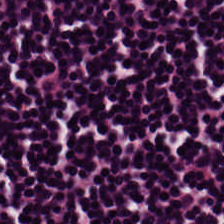H&E-stained tissue section — The classification is lymphocytic infiltrate.
